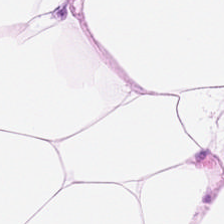Hematoxylin-and-eosin stained section — Histology — adipose tissue.
